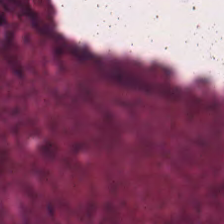H&E stain; whole-slide-image patch; 20× equivalent magnification. Tissue type = cellular debris.
